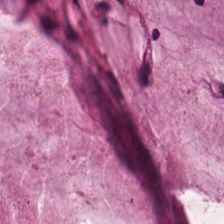224×224 px tile · hematoxylin and eosin. Q: What does this patch show?
A: Mucin.
